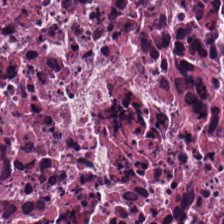Stain: H&E-stained tissue section.
Predominant tissue: necrotic debris.
